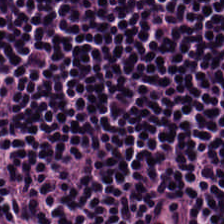Tissue type — lymphocytes.
